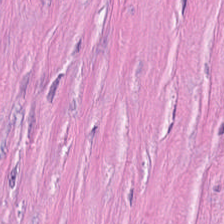FFPE; 224×224 px patch; H&E-stained tissue section — Showing desmoplastic stroma.
